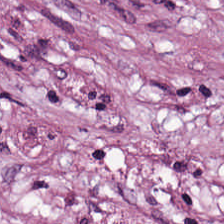Hematoxylin and eosin.
The classification is desmoplastic stroma.
